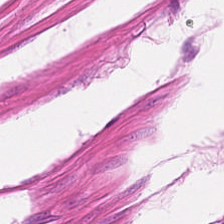H&E stain. Predominant tissue: smooth-muscle tissue.
